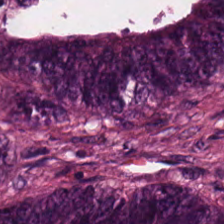The tissue here is tumor epithelium.
